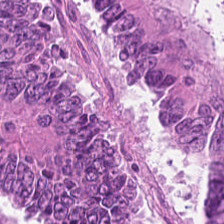Stain: hematoxylin-and-eosin stained section.
Resolution: 20× equivalent magnification.
Classification: colorectal adenocarcinoma epithelium.
